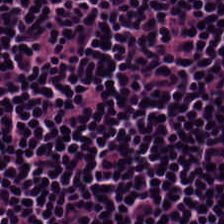Stain: H&E.
Acquisition: brightfield.
Resolution: 0.5 microns per pixel.
Tissue class: lymphoid infiltrate.
